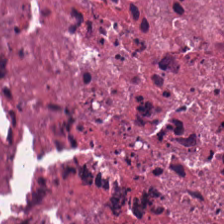Hematoxylin and eosin; 0.5 µm/px. The tissue here is necrotic debris.
